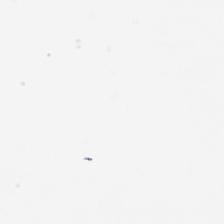H&E.
No tissue present; background only.
